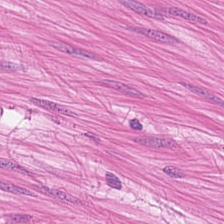Hematoxylin-and-eosin stained section — Muscularis.
